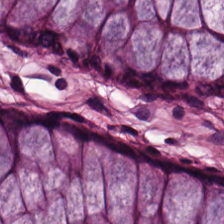H&E-stained tissue section. WSI patch.
Tissue type — normal colonic mucosa.
